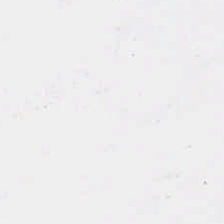Background.
